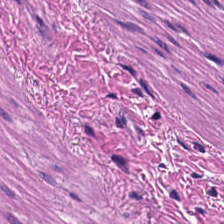0.5 µm/px. Hematoxylin-and-eosin stained section. Finding → muscularis.
